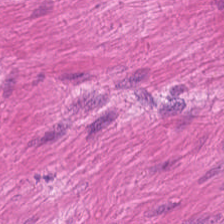Hematoxylin-and-eosin stained section; 0.5 µm/px; formalin-fixed paraffin-embedded section. Predominantly smooth-muscle tissue.
